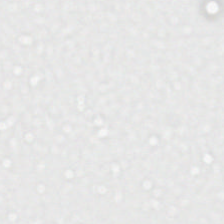H&E. FFPE tissue section.
Q: What does this patch show?
A: This is no tissue.
